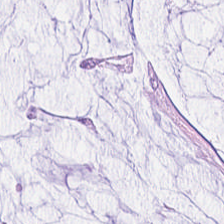0.5 µm per pixel; whole-slide-image patch; H&E stain.
Tissue type: extracellular mucin.
